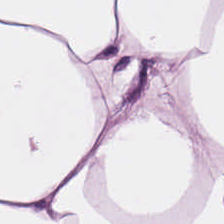Tissue class — adipocytes.
